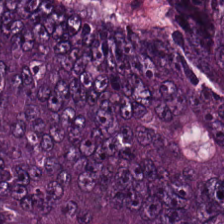Hematoxylin and eosin. 224×224 px tile. Formalin-fixed paraffin-embedded section. Showing malignant epithelium.
